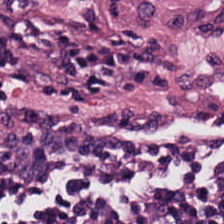Hematoxylin-and-eosin stained section. Whole-slide-image patch.
Showing lymphocyte aggregate.
